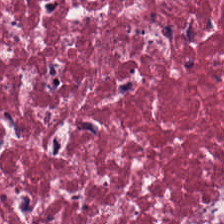Hematoxylin-and-eosin stained section. Showing cancer-associated stroma.
